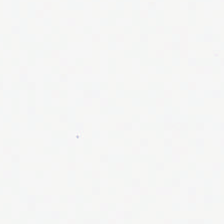H&E stain — Empty background.
